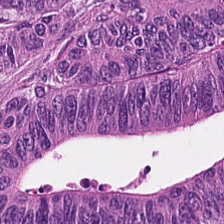FFPE. H&E — The predominant tissue is colorectal adenocarcinoma epithelium.
